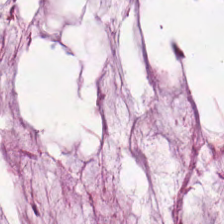224×224 pixel tile. H&E.
Q: What is the predominant tissue type?
A: The field shows mucus.
